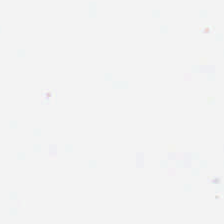WSI patch. H&E-stained tissue section — Background — no tissue in this field.
